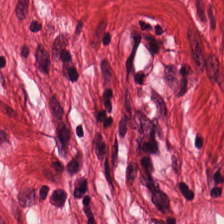Hematoxylin-and-eosin stained section; FFPE; WSI patch.
Tissue type — smooth muscle.
